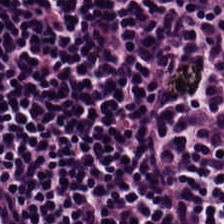Hematoxylin-and-eosin stained section — Showing lymphoid infiltrate.
